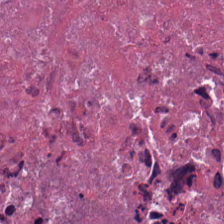H&E stain. {"tissue_type": "debris"}
